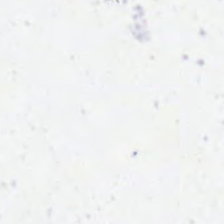Hematoxylin-and-eosin stained section — No tissue present; background only.
